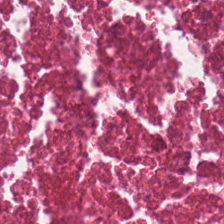H&E. 20× equivalent magnification. WSI patch — Impression — debris.
